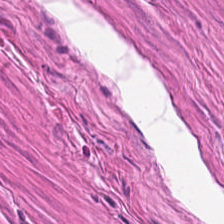Hematoxylin-and-eosin stained section · FFPE — Showing smooth-muscle tissue.
